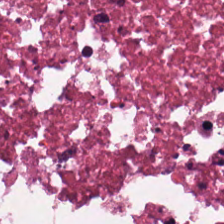H&E-stained tissue section. Q: What does this patch show?
A: It is debris.
